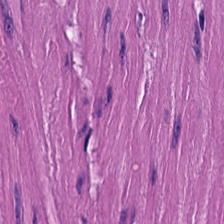Formalin-fixed paraffin-embedded section · H&E stain. Q: Classify this patch.
A: This is smooth-muscle tissue.
